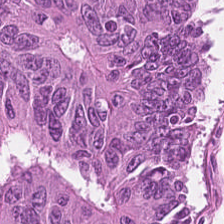Formalin-fixed paraffin-embedded section. H&E stain. Predominant tissue = adenocarcinoma.
